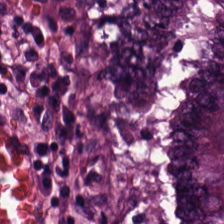224×224 px patch · H&E stain — Tissue — colorectal adenocarcinoma epithelium.
